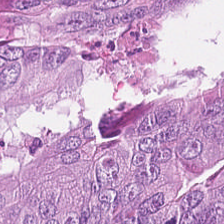Stain: H&E.
Predominant tissue: tumor epithelium.
